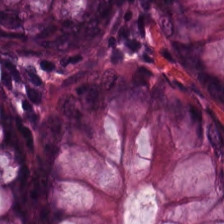Tissue = normal colonic mucosa.
